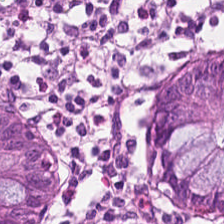Stain: hematoxylin and eosin.
Resolution: 0.5 µm per pixel.
Tissue class: non-neoplastic colon mucosa.
